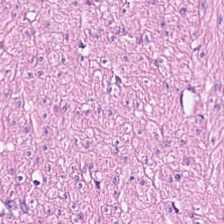Hematoxylin and eosin — Muscularis.
